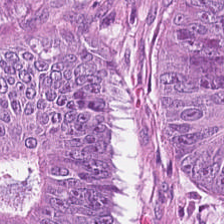H&E patch showing adenocarcinoma.
